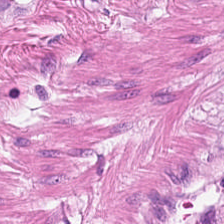This field is smooth muscle.
